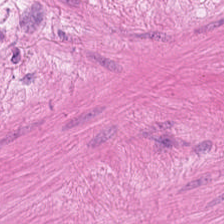224×224 pixel tile; H&E. This field is muscularis.
